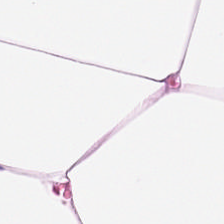FFPE · H&E stain · 224×224 pixel tile.
This field is adipose.
